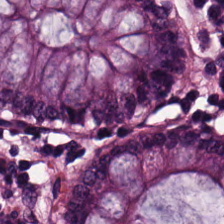Hematoxylin-and-eosin stained section. FFPE — Predominant tissue — non-neoplastic colon mucosa.
